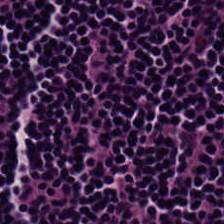0.5 µm/px. FFPE. H&E stain.
Histology → lymphocyte aggregate.
